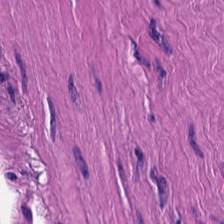0.5 µm per pixel; H&E-stained tissue section; FFPE tissue section.
{"tissue_type": "muscularis"}
